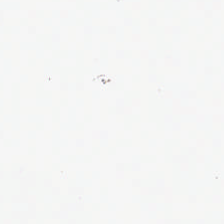Brightfield. Hematoxylin and eosin. Finding — background (no tissue).
